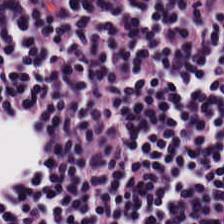20× equivalent magnification; H&E. This field is lymphoid infiltrate.
